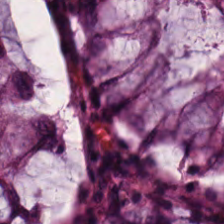Stain: H&E stain.
Preparation: FFPE tissue section.
Tissue class: non-neoplastic colon mucosa.
